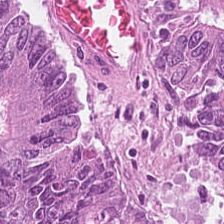H&E-stained tissue section. Formalin-fixed paraffin-embedded section. 0.5 µm per pixel — Q: Identify the tissue.
A: This is adenocarcinoma.
